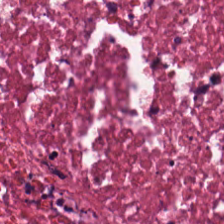Hematoxylin and eosin.
Q: Classify this patch.
A: It is cellular debris.
